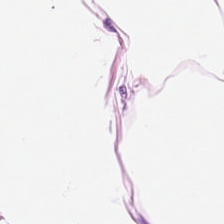H&E — This patch shows adipose.
